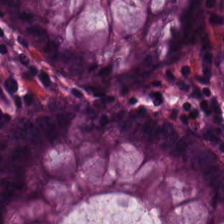Classification: benign colonic mucosa.
